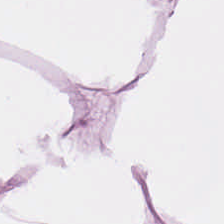H&E-stained tissue section; FFPE tissue section. The tissue type is adipose tissue.
